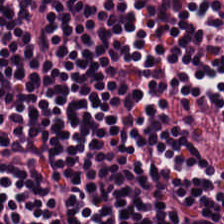H&E stain.
Tissue type: lymphocytic infiltrate.
